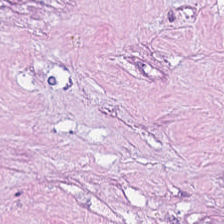H&E-stained tissue section. Cellular debris.
